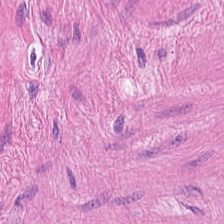H&E-stained section; the field shows smooth muscle.
